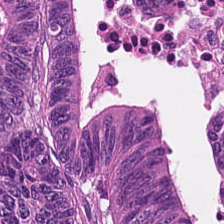H&E.
Q: What is shown here?
A: Adenocarcinoma.
